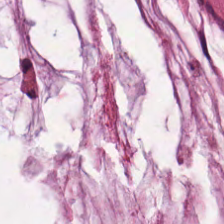The classification is extracellular mucin.
